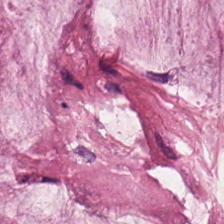The predominant tissue is mucus.
